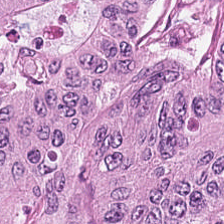Impression → malignant epithelium.
